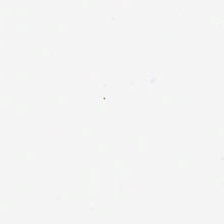Stain: hematoxylin-and-eosin stained section.
Tile size: 224×224 px patch.
Acquisition: brightfield.
Field content: background.
